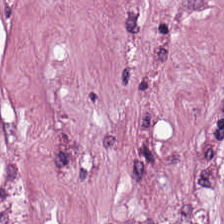H&E — Predominant tissue = cancer-associated stroma.
